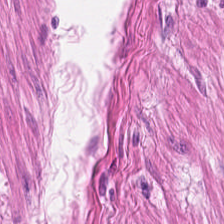H&E-stained tissue section.
Smooth-muscle tissue.
